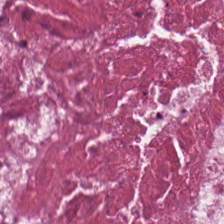Stain: H&E.
Tissue class: cellular debris.
